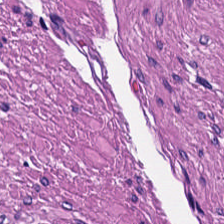H&E stain. Tissue: muscularis.
